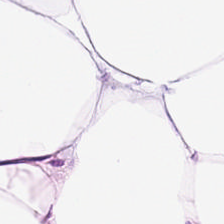Tissue — adipose tissue.
